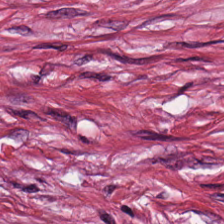Tissue type = cancer-associated stroma.
